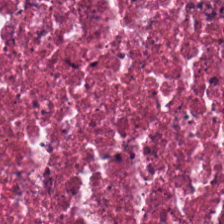Formalin-fixed paraffin-embedded section; hematoxylin and eosin; 224×224 px patch — The tissue here is necrotic debris.
